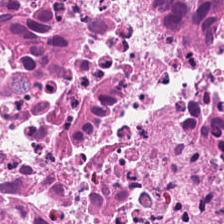Stain: H&E-stained tissue section.
Classification: cellular debris.
